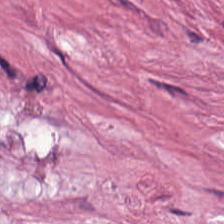Q: What is shown here?
A: Tumor stroma.
